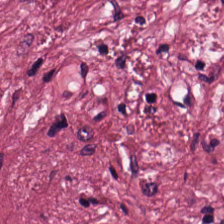H&E · FFPE · 224×224 px tile — The tissue type is tumor stroma.
